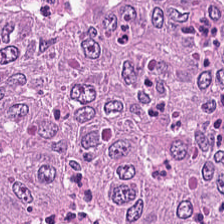224×224 pixel tile; H&E-stained tissue section.
Q: What is shown in this field?
A: The field shows adenocarcinoma.
